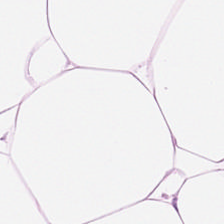H&E patch showing adipose.
